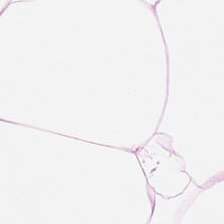H&E. Histology — adipocytes.
